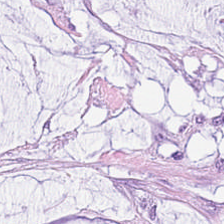H&E — Impression — mucin.
